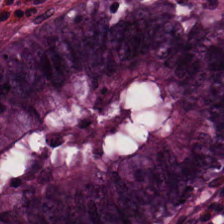FFPE; H&E stain. Q: Classify this patch.
A: It is non-neoplastic colon mucosa.
